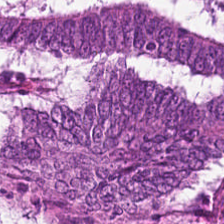Q: What tissue type is shown here?
A: The field shows colorectal adenocarcinoma.
